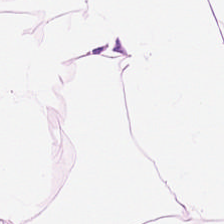Tissue = adipocytes.
